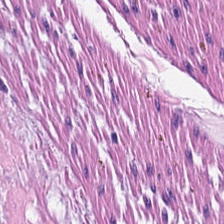Hematoxylin-and-eosin stained section · 224×224 pixel tile — Q: What tissue is shown?
A: The field shows smooth-muscle tissue.
